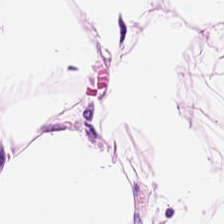Hematoxylin-and-eosin stained section — Tissue type — adipocytes.
